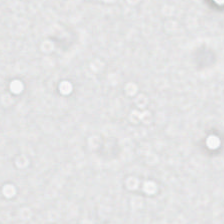H&E — Impression → background.
